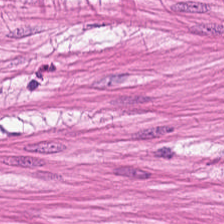Stain: H&E-stained tissue section.
Predominant tissue: smooth muscle.
